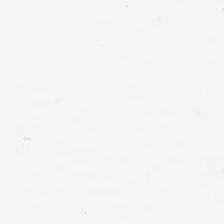H&E-stained tissue section. Histology → background (no tissue).
